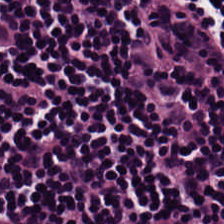Formalin-fixed paraffin-embedded section. H&E — This field is lymphocytic infiltrate.
